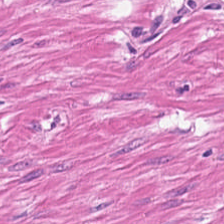Hematoxylin and eosin. Muscularis.
